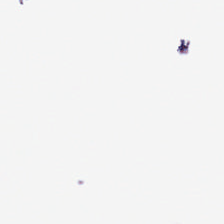Hematoxylin and eosin — This field is background (no tissue).
